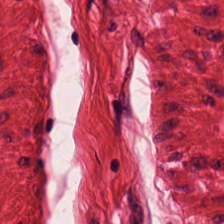Stain: H&E stain.
Preparation: FFPE.
Tissue: smooth muscle.
